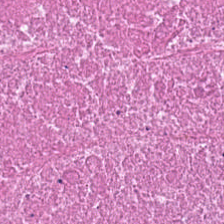Stain: hematoxylin-and-eosin stained section.
Preparation: FFPE.
Acquisition: brightfield microscopy.
Tissue type: cellular debris.
